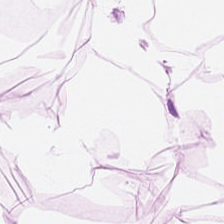Hematoxylin and eosin · 224×224 px patch · WSI patch.
Tissue — adipose.
